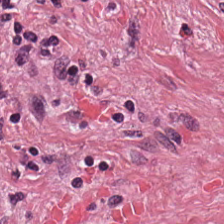Stain: hematoxylin and eosin.
Tissue type: tumor-associated stroma.
